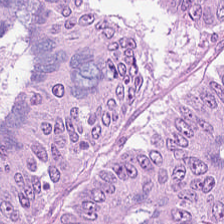H&E stain. Tissue type — adenocarcinoma.
